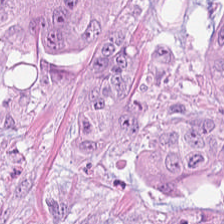Hematoxylin and eosin.
This field is tumor epithelium.
